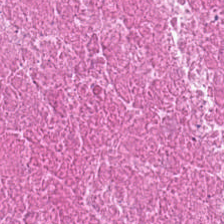H&E — This field is cellular debris.
